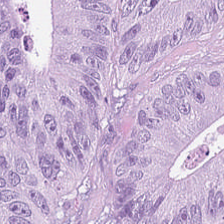FFPE tissue section · 224×224 pixel tile · H&E stain.
The predominant tissue is adenocarcinoma.
